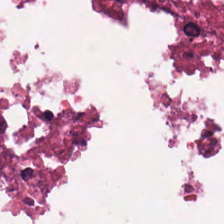Brightfield microscopy · hematoxylin and eosin. Tissue: necrotic debris.
